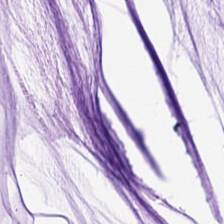H&E-stained tissue section — Q: Classify this patch.
A: It is mucin.
